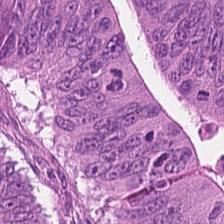The predominant tissue is colorectal adenocarcinoma.
